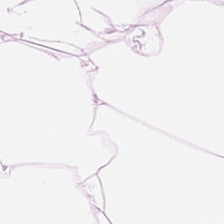Predominantly adipocytes.
